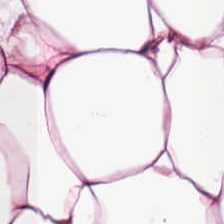Formalin-fixed paraffin-embedded section · hematoxylin-and-eosin stained section · 0.5 µm per pixel. Showing adipose tissue.
